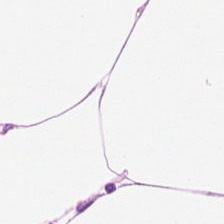Hematoxylin and eosin — Q: What tissue is shown?
A: The field shows adipose.
